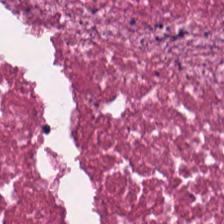Hematoxylin-and-eosin stained section. Tissue class: cellular debris.
